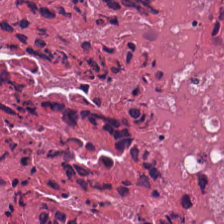Hematoxylin and eosin.
{"tissue_type": "debris"}
